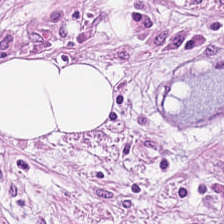H&E-stained tissue section; 224×224 px patch; brightfield — The tissue is tumor stroma.
